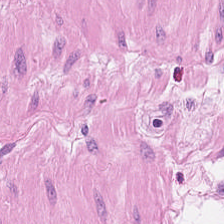H&E-stained tissue section.
Tissue — muscularis.
